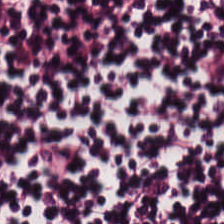Q: What tissue is shown?
A: It is lymphocytic infiltrate.
